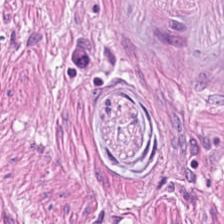Q: What is the predominant tissue type?
A: It is smooth muscle.
